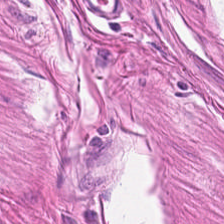Hematoxylin-and-eosin stained section — The tissue here is muscularis.
